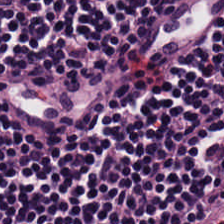224×224 px tile · H&E.
The predominant tissue is lymphoid infiltrate.
